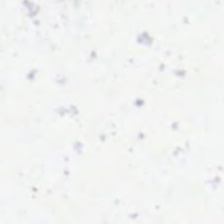H&E stain. This patch shows background (no tissue).
